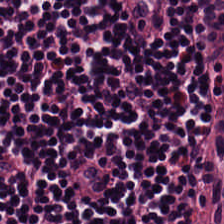Brightfield microscopy · H&E stain.
This patch shows lymphocyte aggregate.
